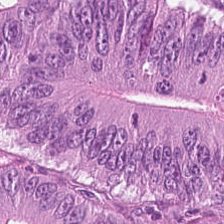Hematoxylin and eosin. Finding — colorectal adenocarcinoma.
